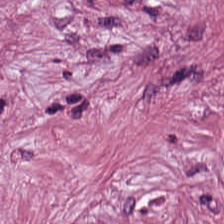Hematoxylin-and-eosin stained section.
Histology → tumor stroma.
